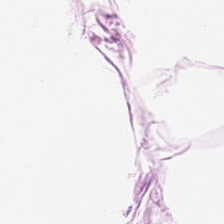0.5 µm per pixel · H&E-stained tissue section — This patch shows adipocytes.
